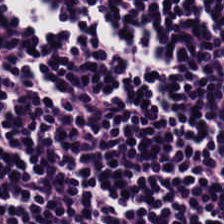224×224 px tile · hematoxylin-and-eosin stained section · formalin-fixed paraffin-embedded section — Tissue class: lymphoid infiltrate.
